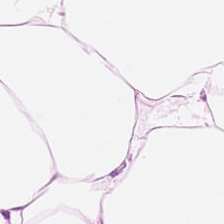224×224 px tile · H&E-stained tissue section · 0.5 microns per pixel. Adipose tissue.
